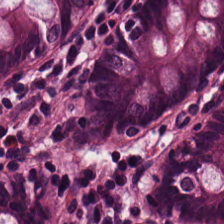H&E — Tissue type = benign colonic mucosa.
